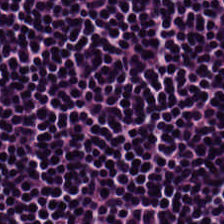H&E stain. FFPE. 224×224 pixel tile. This field is lymphocyte aggregate.
